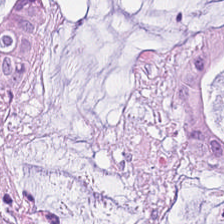FFPE; 224×224 px tile; hematoxylin-and-eosin stained section. The tissue here is mucus.
